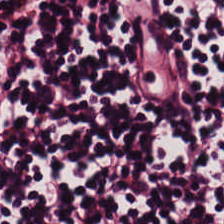H&E-stained tissue section. Impression → lymphocytic infiltrate.
